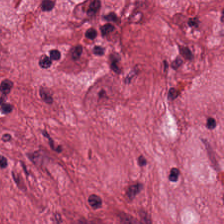Hematoxylin and eosin.
Predominantly tumor stroma.
